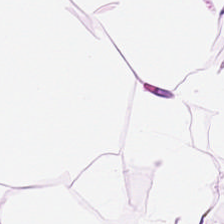Stain: H&E.
Tissue class: adipose tissue.
